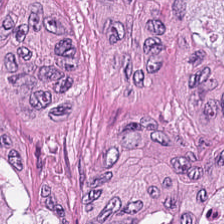Tissue type: colorectal adenocarcinoma.
